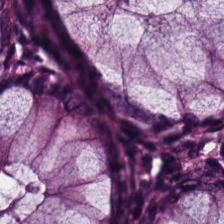{"tissue_type": "non-neoplastic colon mucosa"}
